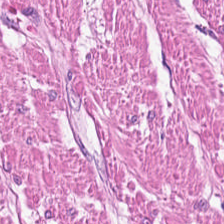Hematoxylin-and-eosin stained section.
The tissue here is muscularis.
